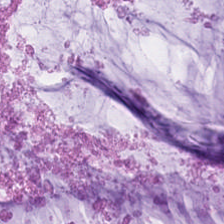H&E stain. 0.5 µm per pixel.
Q: What is shown here?
A: It is mucus.
